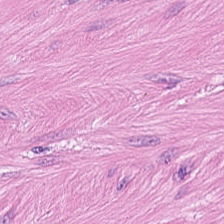H&E-stained tissue section showing muscularis.
